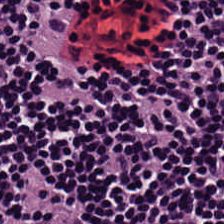H&E-stained tissue section — Lymphocytes.
